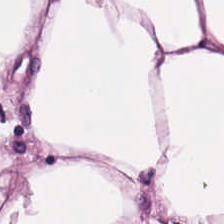Stain: H&E-stained tissue section.
Preparation: FFPE.
Tissue: adipose.
